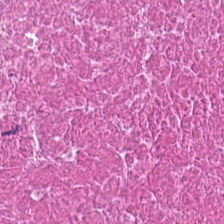Histology → necrotic debris.
